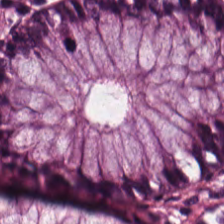H&E-stained tissue section. 20× equivalent magnification. 224×224 px patch.
The tissue here is non-neoplastic colon mucosa.
